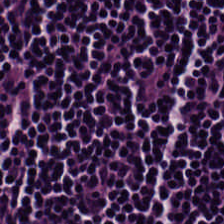H&E stain · 0.5 µm/px. Predominantly lymphocyte aggregate.
